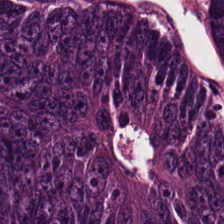This patch shows colorectal adenocarcinoma epithelium.
